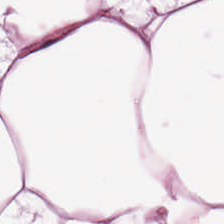Stain: H&E stain.
Preparation: formalin-fixed paraffin-embedded section.
Resolution: 0.5 µm/px.
Predominant tissue: fat tissue.
